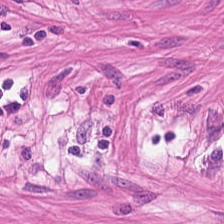H&E stain — Predominantly muscularis.
